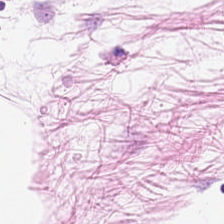Hematoxylin and eosin; 0.5 µm per pixel. Classification — adipose.
